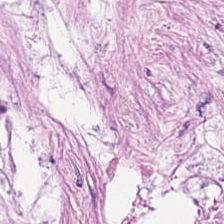Hematoxylin-and-eosin stained section. Tumor stroma.
